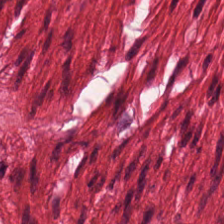The tissue here is smooth muscle.
